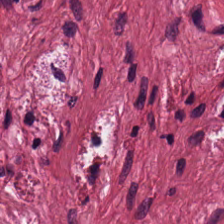Hematoxylin and eosin. 20× equivalent magnification. 224×224 px tile — Q: Classify this patch.
A: It is tumor-associated stroma.
